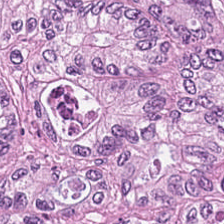The predominant tissue is adenocarcinoma.
